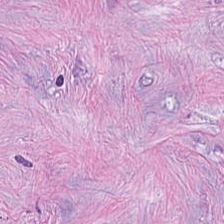Brightfield. Hematoxylin-and-eosin stained section. This patch shows tumor stroma.
